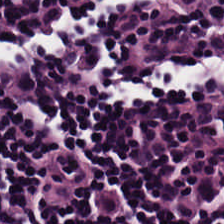Stain: H&E.
Tissue class: lymphocytic infiltrate.
